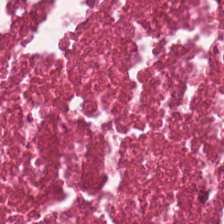Stain: hematoxylin-and-eosin stained section.
Resolution: 0.5 microns per pixel.
Tissue type: cellular debris.
